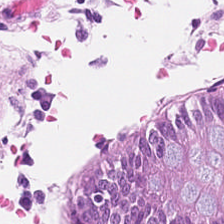224×224 px patch. H&E-stained tissue section.
Predominantly non-neoplastic colon mucosa.
